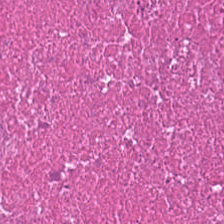Showing necrotic debris.
